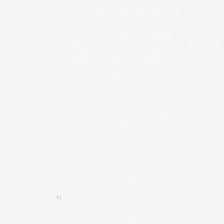H&E-stained tissue section · 0.5 µm per pixel.
Q: What does this patch show?
A: The field shows no tissue.
